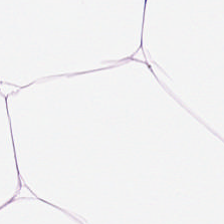224×224 pixel tile. Hematoxylin-and-eosin stained section. Whole-slide-image patch. Tissue type = adipose tissue.
